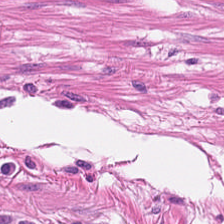H&E-stained tissue section. The predominant tissue is smooth muscle.
